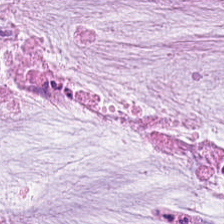H&E-stained tissue section showing mucus.
